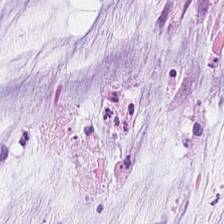Hematoxylin-and-eosin stained section. Predominant tissue — mucin.
